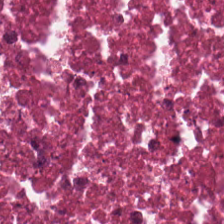Hematoxylin and eosin. Q: What type of tissue is this?
A: The field shows cellular debris.
